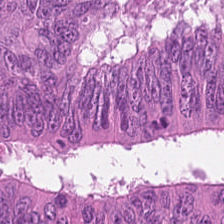FFPE; H&E-stained tissue section; WSI patch.
The predominant tissue is colorectal adenocarcinoma.
